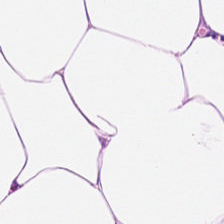H&E-stained tissue section.
Predominantly adipose.
